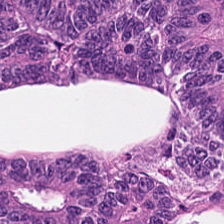FFPE tissue section; hematoxylin-and-eosin stained section — Showing tumor epithelium.
